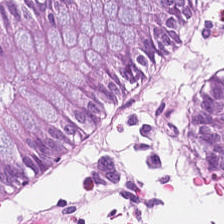Normal colonic mucosa.
